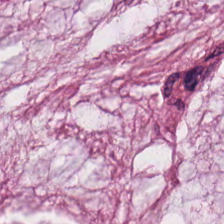{"tissue_type": "mucus"}
